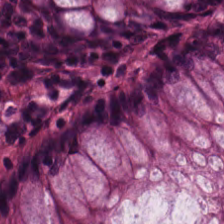Hematoxylin-and-eosin stained section; 224×224 px tile; brightfield. Q: What type of tissue is this?
A: The field shows non-neoplastic colon mucosa.
